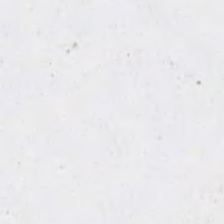H&E. Q: Classify this patch.
A: This is no tissue.
